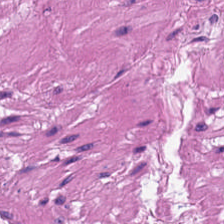H&E — Predominantly muscularis.
